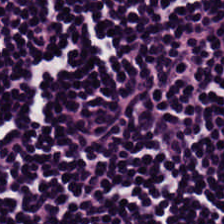H&E — Finding — lymphocyte aggregate.
